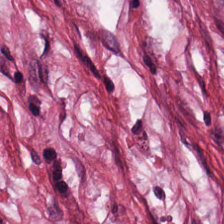H&E-stained tissue section. Q: What type of tissue is this?
A: It is tumor stroma.
